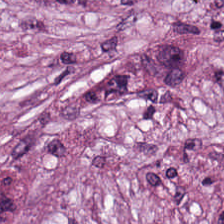H&E.
Showing tumor stroma.
